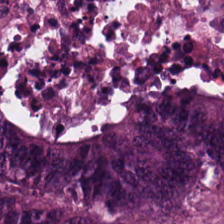H&E-stained tissue section. Tissue class = colorectal adenocarcinoma epithelium.
